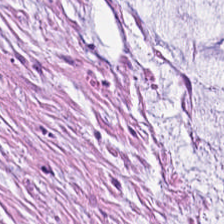Hematoxylin-and-eosin stained section. 0.5 microns per pixel. Formalin-fixed paraffin-embedded section. {"tissue_type": "mucus"}
